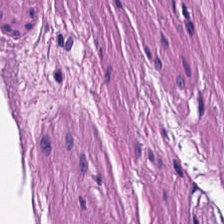Formalin-fixed paraffin-embedded section; H&E — Predominantly smooth-muscle tissue.
